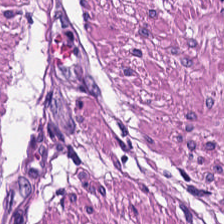Hematoxylin-and-eosin stained section · 0.5 microns per pixel · brightfield microscopy.
Smooth-muscle tissue.
